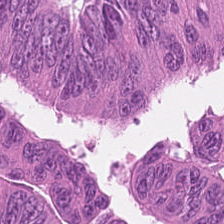H&E-stained tissue section — This patch shows colorectal adenocarcinoma epithelium.
